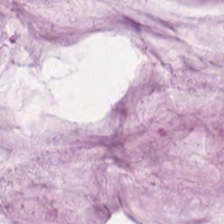Stain: H&E-stained tissue section.
Tissue class: mucus.
